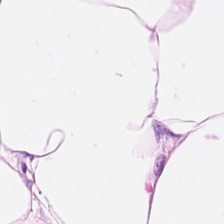H&E-stained tissue section · 224×224 px patch.
Q: What is shown here?
A: The field shows fat tissue.
